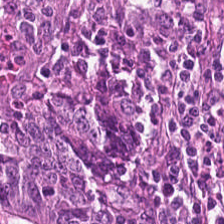Hematoxylin-and-eosin stained section — This patch shows adenocarcinoma.
